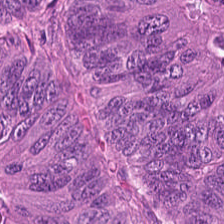Q: What tissue is shown?
A: Colorectal adenocarcinoma epithelium.
